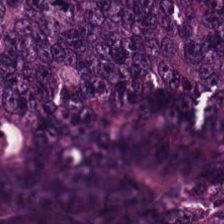H&E — The classification is tumor epithelium.
